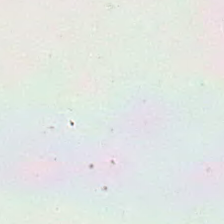Background (no tissue).
